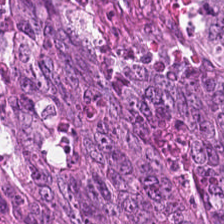Hematoxylin-and-eosin stained section · 224×224 pixel tile.
The tissue class is tumor epithelium.
